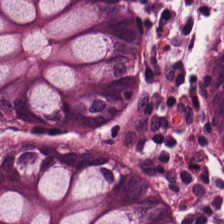The tissue here is benign colonic mucosa.
